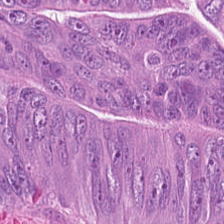H&E-stained tissue section. FFPE tissue section. 0.5 µm per pixel. Colorectal adenocarcinoma epithelium.
